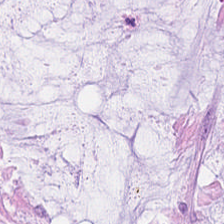Stain: H&E stain.
Tissue type: mucus.
